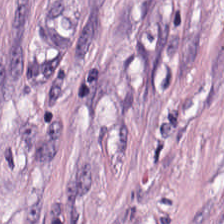Brightfield; hematoxylin and eosin. Q: What tissue is shown?
A: This is desmoplastic stroma.
